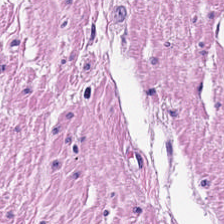Predominant tissue — smooth-muscle tissue.
